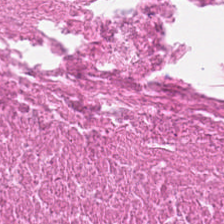Hematoxylin-and-eosin stained section. Showing cellular debris.
